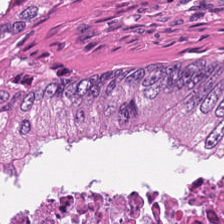Hematoxylin-and-eosin stained section.
Predominantly necrotic debris.
